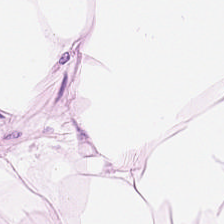Finding → fat tissue.
